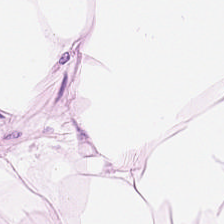Finding → fat tissue.
